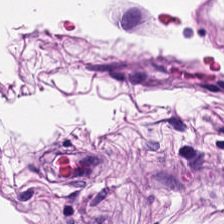Formalin-fixed paraffin-embedded section · hematoxylin-and-eosin stained section.
Impression → muscularis.
